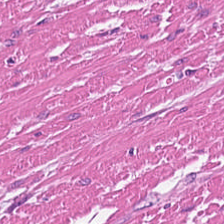The tissue here is muscularis.
